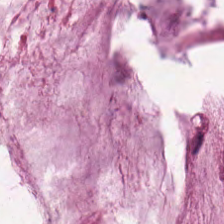Hematoxylin-and-eosin stained section. Predominant tissue: mucin.
